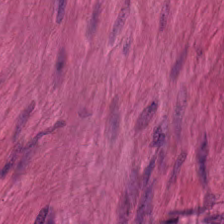H&E-stained tissue section. Tissue class — smooth-muscle tissue.
